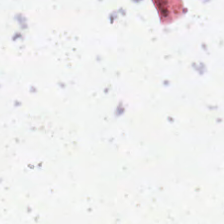Hematoxylin and eosin — Content — empty background.
